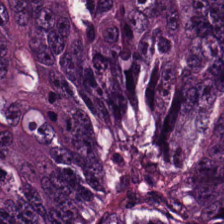H&E-stained section; the field shows tumor epithelium.
